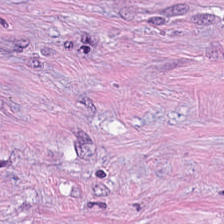Hematoxylin-and-eosin stained section — Tumor-associated stroma.
